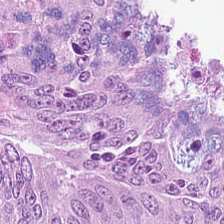Hematoxylin-and-eosin stained section. Histology — adenocarcinoma.
